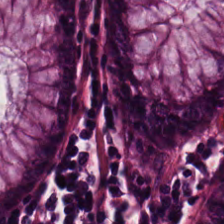Stain: hematoxylin and eosin.
Acquisition: whole-slide-image patch.
Tissue: normal colonic mucosa.
